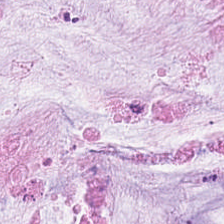Whole-slide-image patch; H&E-stained tissue section; 20× equivalent magnification. Showing mucus.
